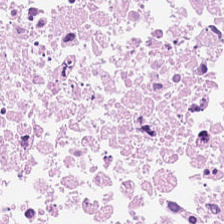Stain: hematoxylin and eosin.
Resolution: 0.5 µm per pixel.
Predominant tissue: debris.
